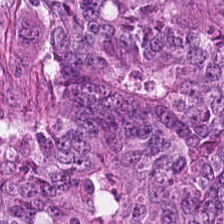H&E-stained tissue section; FFPE tissue section. The tissue here is adenocarcinoma.
